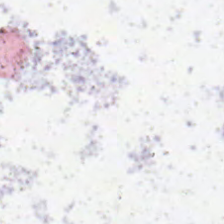Hematoxylin-and-eosin stained section. This patch shows background.
